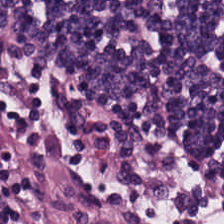Brightfield · H&E stain.
The predominant tissue is lymphocytes.
